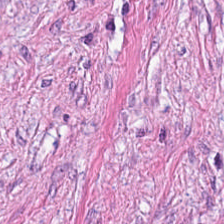Hematoxylin and eosin. Q: Identify the tissue.
A: Tumor-associated stroma.
